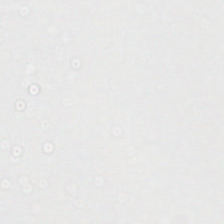Hematoxylin and eosin — The field content is background.
